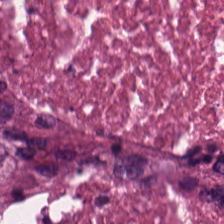Hematoxylin-and-eosin section: necrotic debris.
